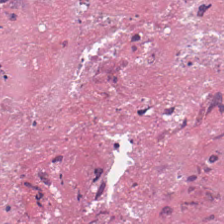H&E stain; 0.5 µm/px. Predominantly debris.
